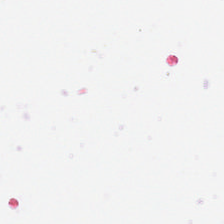This field is background (no tissue).
